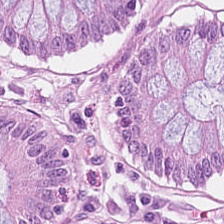H&E-stained tissue section; brightfield.
Tissue: normal colon mucosa.
